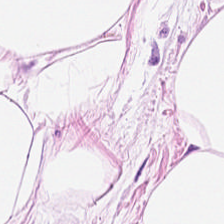H&E patch showing adipocytes.
